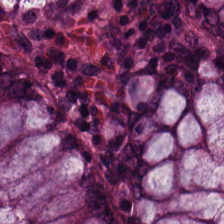The classification is normal colon mucosa.
